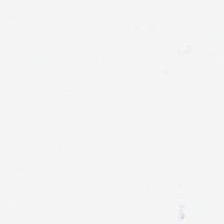224×224 px tile; hematoxylin and eosin.
Q: What is shown in this field?
A: It is no tissue.
